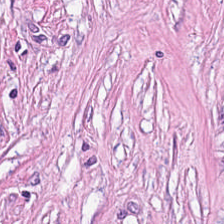224×224 pixel tile. WSI patch. H&E-stained tissue section. The tissue here is tumor stroma.
